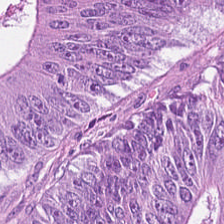H&E — This field is adenocarcinoma.
